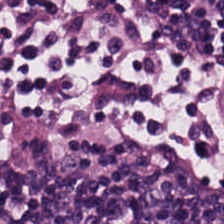The tissue here is lymphoid infiltrate.
